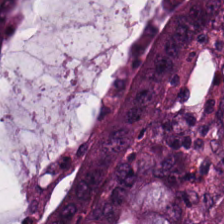Stain: H&E-stained tissue section.
Classification: colorectal adenocarcinoma.
